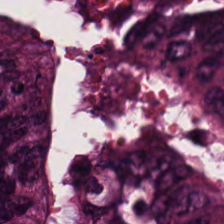0.5 µm per pixel; H&E; 224×224 pixel tile — Q: What is the predominant tissue type?
A: It is adenocarcinoma.
